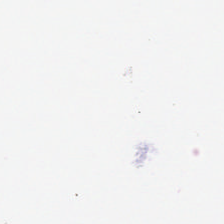Stain: H&E stain.
Resolution: 0.5 µm/px.
Classification: background.
